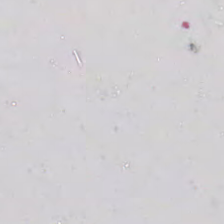Histology → no tissue.
